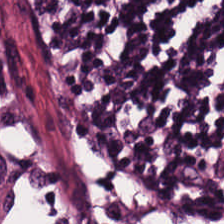Q: What type of tissue is this?
A: This is lymphocytes.
